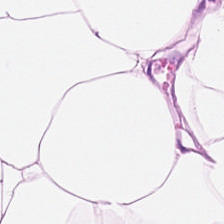20× equivalent magnification. H&E stain.
Finding — adipocytes.
